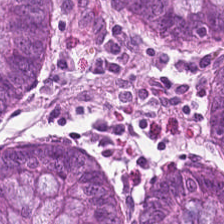Predominantly normal colon mucosa.
